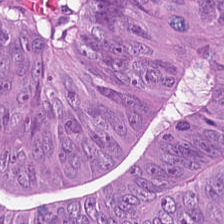H&E — malignant epithelium.
